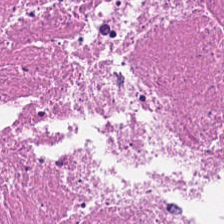Hematoxylin-and-eosin stained section — This patch shows necrotic debris.
